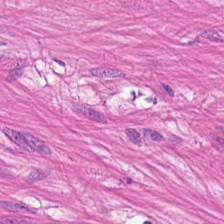H&E-stained tissue section.
Muscularis.
